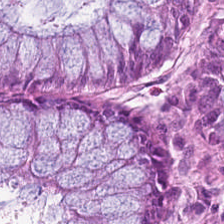Hematoxylin and eosin. Q: What tissue is shown?
A: Non-neoplastic colon mucosa.
